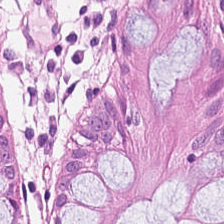Hematoxylin and eosin. The tissue here is normal colonic mucosa.
